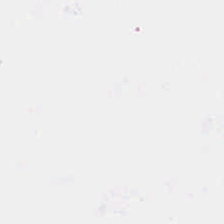FFPE; H&E — This field is background (no tissue).
